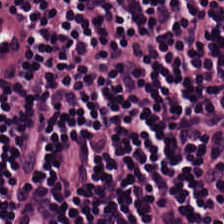Hematoxylin-and-eosin stained section. Showing lymphoid infiltrate.
